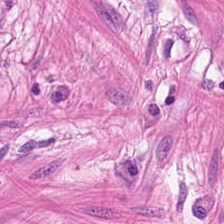224×224 px patch. H&E stain. This patch shows smooth muscle.
